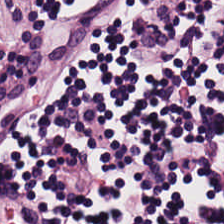Hematoxylin and eosin. Lymphocytic infiltrate.
